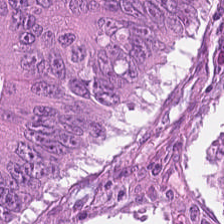224×224 px patch. H&E — This field is tumor epithelium.
